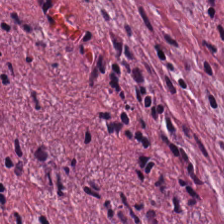This field is desmoplastic stroma.
